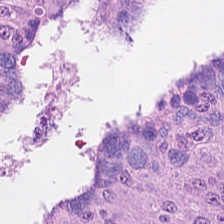Classification — tumor epithelium.
